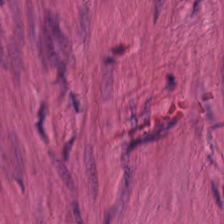This patch shows smooth muscle.
